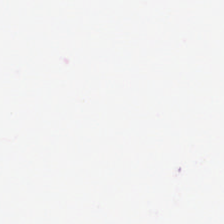Background.
